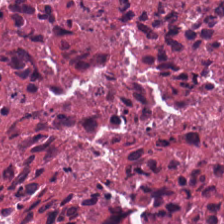H&E-stained tissue section. 0.5 µm/px — Q: What tissue type is shown here?
A: This is cellular debris.
